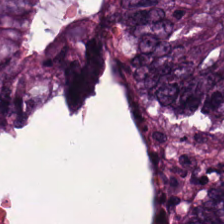Hematoxylin and eosin.
Showing tumor epithelium.
